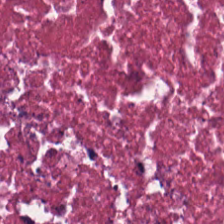Classification — necrotic debris.
